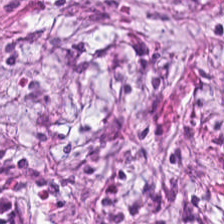224×224 px patch; hematoxylin-and-eosin stained section. Predominantly desmoplastic stroma.
